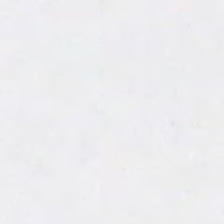Stain: H&E stain.
Preparation: FFPE tissue section.
Content: empty background.
